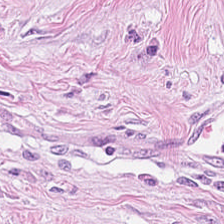224×224 px patch. 0.5 µm/px. H&E stain.
The predominant tissue is tumor-associated stroma.
